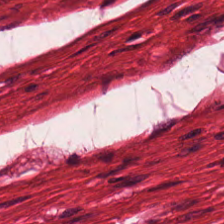H&E. {"tissue_type": "muscularis"}
